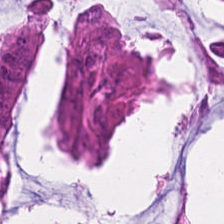Stain: hematoxylin-and-eosin stained section.
Tissue type: malignant epithelium.
